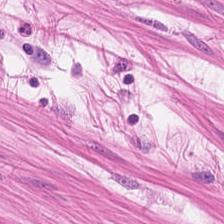H&E stain. The tissue is smooth-muscle tissue.
